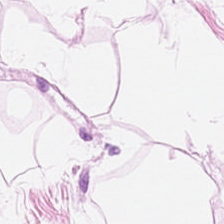H&E-stained tissue section.
The predominant tissue is adipose.
